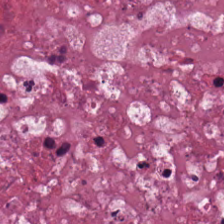224×224 px patch. 0.5 microns per pixel. H&E. Q: What tissue is shown?
A: Cellular debris.
